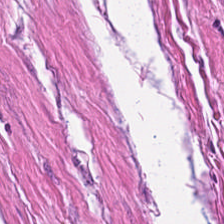WSI patch · hematoxylin and eosin.
Classification — muscularis.
